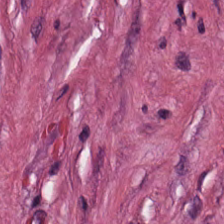Desmoplastic stroma.
